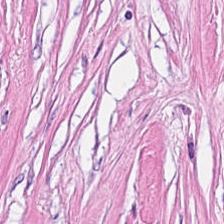0.5 µm per pixel; WSI patch; H&E.
Showing desmoplastic stroma.
